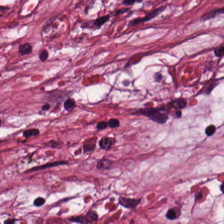H&E. Desmoplastic stroma.
